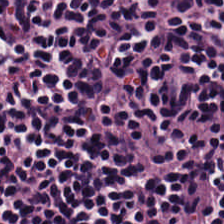WSI patch; H&E stain. Showing lymphocyte aggregate.
